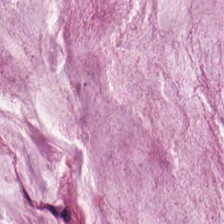Hematoxylin-and-eosin stained section — Mucin.
